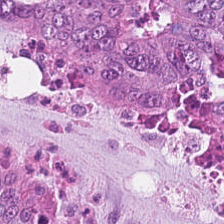WSI patch · FFPE tissue section · H&E — The predominant tissue is malignant epithelium.
